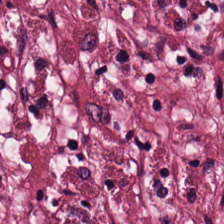H&E stain — This patch shows tumor-associated stroma.
